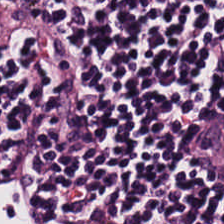{"tissue_type": "lymphocyte aggregate"}
